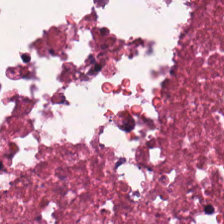20× equivalent magnification · H&E stain. Cellular debris.
